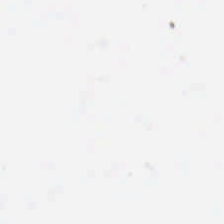H&E. Q: Classify this patch.
A: Background.
